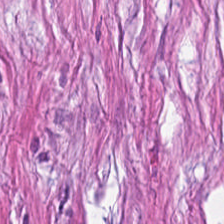H&E-stained tissue section. 224×224 px patch. This field is cancer-associated stroma.
